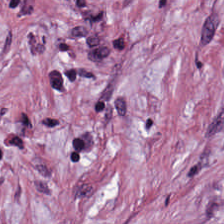Formalin-fixed paraffin-embedded section · 0.5 µm/px · H&E-stained tissue section — Tissue = desmoplastic stroma.
